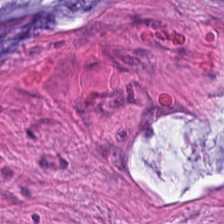WSI patch; H&E-stained tissue section — The tissue here is mucin.
